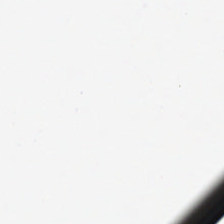H&E-stained tissue section; 224×224 px tile. Background — no tissue in this field.
